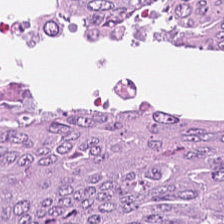Hematoxylin and eosin. 224×224 pixel tile. FFPE tissue section. The predominant tissue is colorectal adenocarcinoma epithelium.
